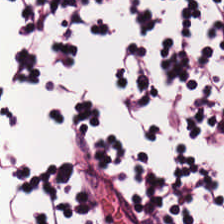Stain: hematoxylin-and-eosin stained section.
Classification: lymphoid infiltrate.
